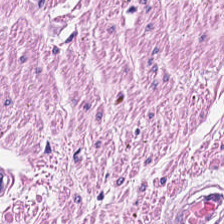H&E. {"tissue_type": "smooth-muscle tissue"}
